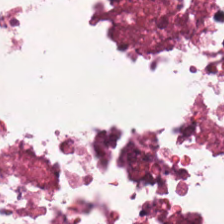H&E. Q: What type of tissue is this?
A: It is necrotic debris.
